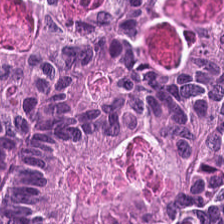This field is colorectal adenocarcinoma.
